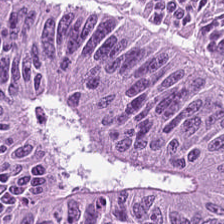FFPE tissue section · hematoxylin and eosin.
This patch shows colorectal adenocarcinoma.
